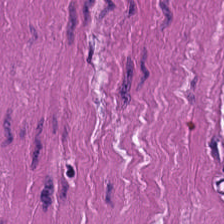Hematoxylin and eosin · 224×224 px patch. Tissue = smooth muscle.
